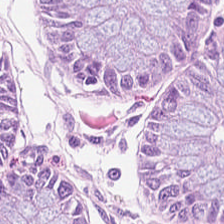H&E-stained tissue section. 224×224 pixel tile. Showing normal colon mucosa.
